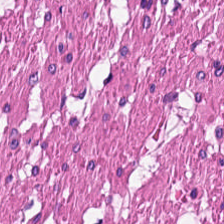Hematoxylin and eosin; 224×224 px tile.
Q: What is the predominant tissue type?
A: It is smooth-muscle tissue.
